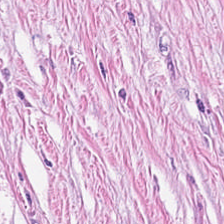Impression — desmoplastic stroma.
